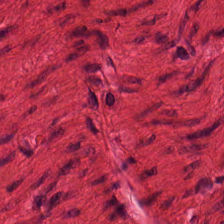H&E.
Histology → smooth-muscle tissue.
